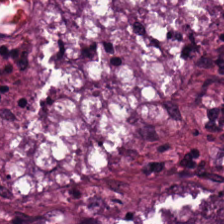Stain: H&E-stained tissue section.
Tile size: 224×224 pixel tile.
Preparation: FFPE.
Classification: colorectal adenocarcinoma epithelium.
